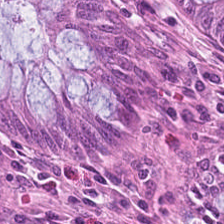Stain: H&E.
Tissue class: normal colonic mucosa.
